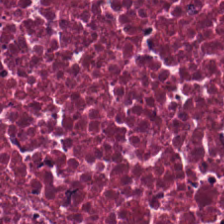Formalin-fixed paraffin-embedded section. 224×224 px patch. H&E.
Q: What does this patch show?
A: Necrotic debris.
